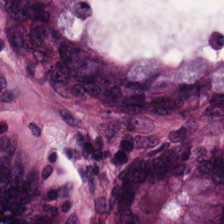224×224 px tile · H&E-stained tissue section · 0.5 µm/px — The predominant tissue is benign colonic mucosa.
